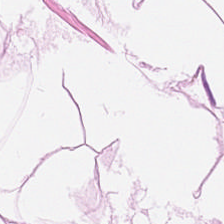H&E-stained tissue section; FFPE tissue section.
Tissue class = adipose tissue.
